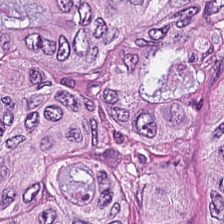H&E.
{"tissue_type": "malignant epithelium"}
